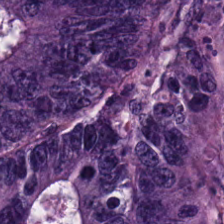0.5 µm per pixel; H&E.
Tissue: colorectal adenocarcinoma.
